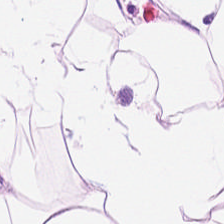Stain: hematoxylin and eosin.
Resolution: 20× equivalent magnification.
Preparation: formalin-fixed paraffin-embedded section.
Predominant tissue: adipose tissue.
